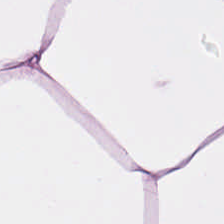H&E-stained tissue section — Predominant tissue = adipose tissue.
